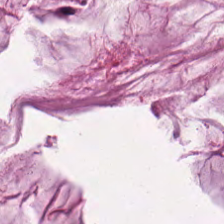This field is extracellular mucin.
